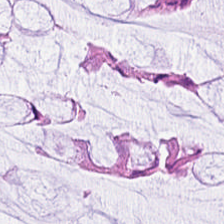224×224 px tile. Brightfield microscopy. H&E-stained tissue section — Showing benign colonic mucosa.
